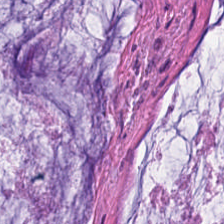Hematoxylin-and-eosin stained section — The tissue here is extracellular mucin.
